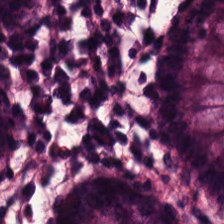H&E stain — Impression — normal colon mucosa.
